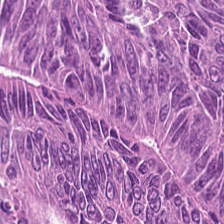H&E. The tissue here is colorectal adenocarcinoma epithelium.
